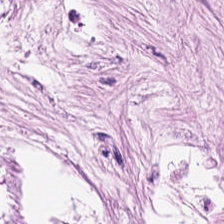The predominant tissue is cancer-associated stroma.
